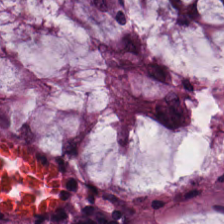The classification is non-neoplastic colon mucosa.
